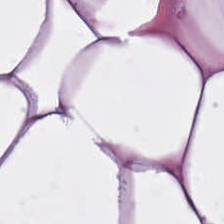Hematoxylin and eosin; formalin-fixed paraffin-embedded section.
Predominant tissue — fat tissue.
